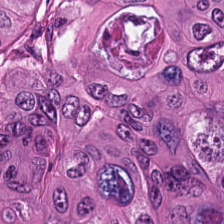H&E stain.
Tissue — malignant epithelium.
